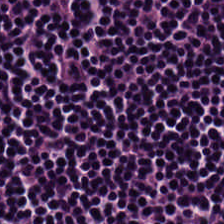Hematoxylin-and-eosin stained section. FFPE. The tissue type is lymphocytic infiltrate.
